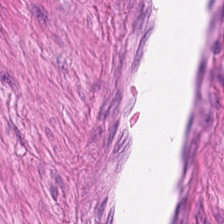Showing smooth-muscle tissue.
